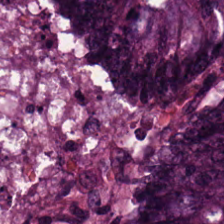Stain: hematoxylin-and-eosin stained section.
Preparation: FFPE.
Resolution: 0.5 microns per pixel.
Classification: malignant epithelium.
